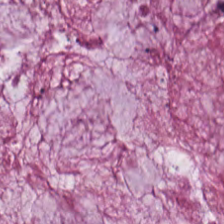{"tissue_type": "extracellular mucin"}
